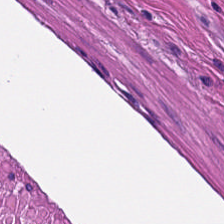Q: What tissue type is shown here?
A: It is smooth-muscle tissue.
